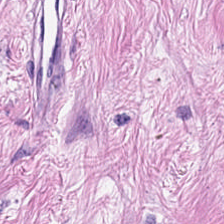H&E-stained tissue section; 20× equivalent magnification — The predominant tissue is tumor stroma.
